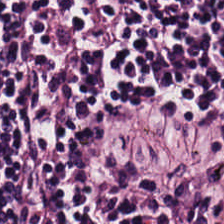{"tissue_type": "lymphocytes"}
